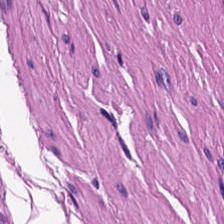H&E-stained tissue section — Showing smooth-muscle tissue.
